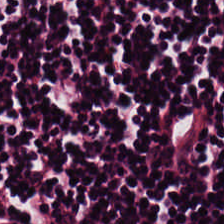0.5 µm/px · hematoxylin-and-eosin stained section · formalin-fixed paraffin-embedded section. Tissue class — lymphocytes.
